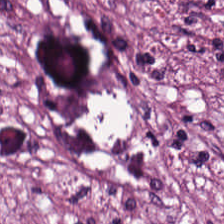Hematoxylin-and-eosin stained section. Impression — cancer-associated stroma.
